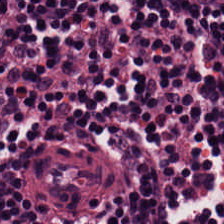Hematoxylin and eosin. Whole-slide-image patch — Lymphocyte aggregate.
